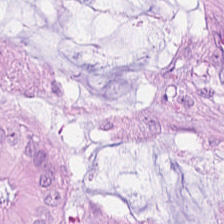Stain: H&E-stained tissue section.
Classification: adenocarcinoma.
